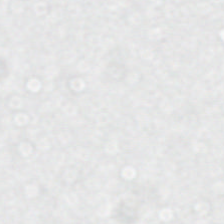This field is background (no tissue).
